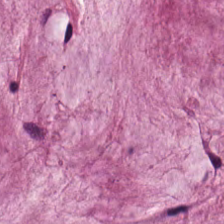Hematoxylin-and-eosin stained section. Finding — extracellular mucin.
